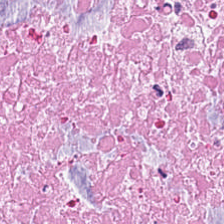Tissue — necrotic debris.
